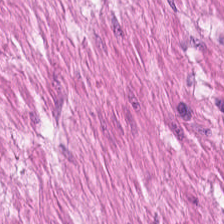H&E-stained tissue section — Predominantly smooth-muscle tissue.
